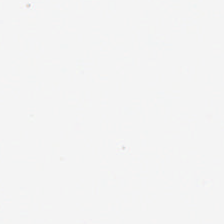Hematoxylin-and-eosin stained section.
Q: Classify this patch.
A: The field shows background (no tissue).
